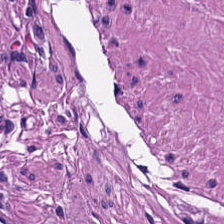Stain: hematoxylin and eosin.
Acquisition: WSI patch.
Tile size: 224×224 pixel tile.
Predominant tissue: smooth-muscle tissue.
